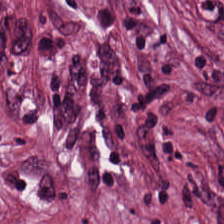Q: Identify the tissue.
A: The field shows tumor stroma.
